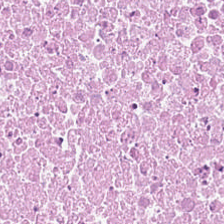H&E-stained tissue section — Q: What is shown here?
A: This is necrotic debris.
